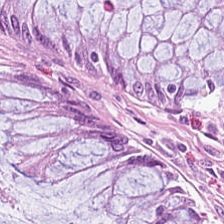224×224 px tile. H&E stain. 0.5 µm/px. Tissue type: normal colon mucosa.
